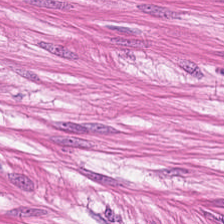Brightfield microscopy. H&E-stained tissue section. Formalin-fixed paraffin-embedded section — This field is smooth muscle.
